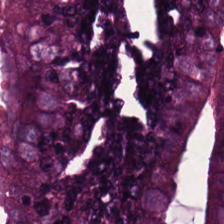This field is colorectal adenocarcinoma epithelium.
